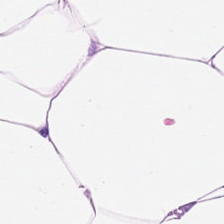H&E-stained tissue section; brightfield. Tissue type — adipose.
